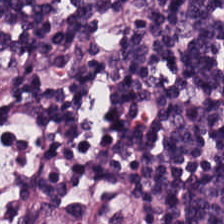Hematoxylin and eosin — Predominantly lymphocyte aggregate.
